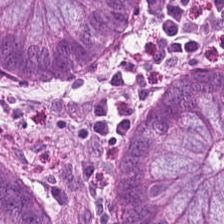Hematoxylin and eosin.
Tissue: benign colonic mucosa.
